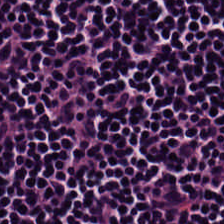Hematoxylin and eosin.
Q: What tissue type is shown here?
A: The field shows lymphocytic infiltrate.
